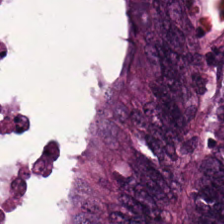Stain: H&E-stained tissue section.
Predominant tissue: colorectal adenocarcinoma.
